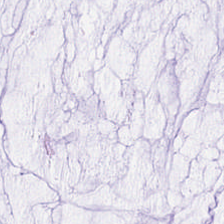Hematoxylin and eosin — Tissue — mucus.
